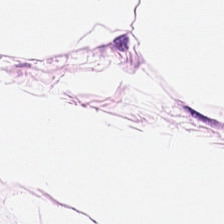H&E stain. 0.5 µm/px.
Finding — adipocytes.
